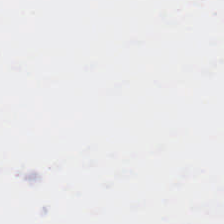H&E-stained tissue section.
Q: What is shown in this field?
A: The field shows background.
